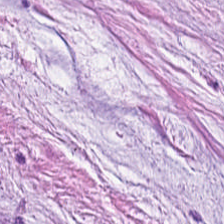Hematoxylin-and-eosin stained section — Tissue class: mucin.
